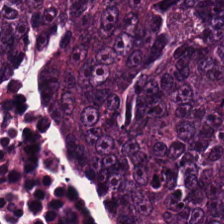H&E.
Tissue class — malignant epithelium.
